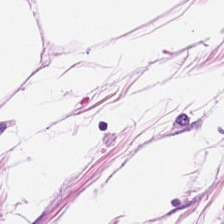H&E stain.
Finding → adipose.
